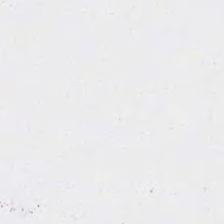H&E stain. Q: What does this patch show?
A: It is empty background.
